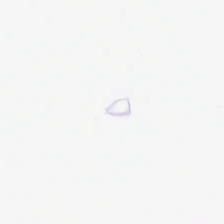Empty field — empty background.
